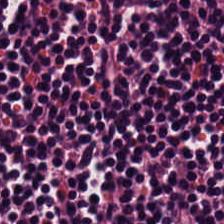H&E-stained tissue section.
Tissue class — lymphocytes.
